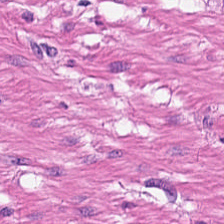H&E-stained tissue section; WSI patch.
Predominantly smooth-muscle tissue.
